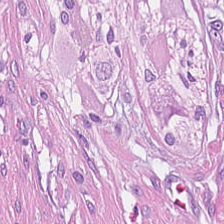Hematoxylin and eosin. This patch shows desmoplastic stroma.
